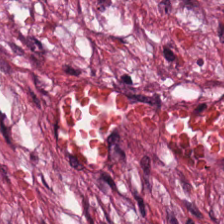Hematoxylin-and-eosin stained section.
Predominantly tumor-associated stroma.
